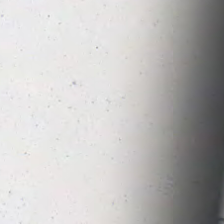Stain: H&E.
Classification: no tissue.
